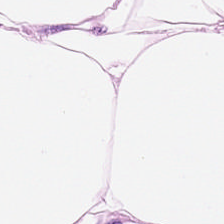The classification is fat tissue.
